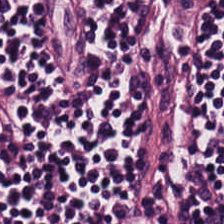Q: What is shown here?
A: This is lymphocytic infiltrate.
